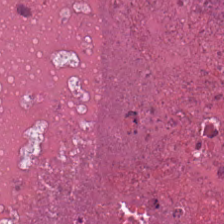H&E stain. Whole-slide-image patch — Histology → debris.
